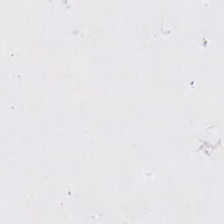Stain: H&E-stained tissue section.
Preparation: formalin-fixed paraffin-embedded section.
Tile size: 224×224 px patch.
Content: empty background.
